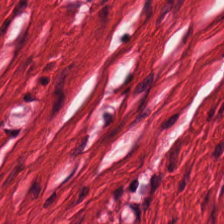H&E-stained tissue section.
Q: What type of tissue is this?
A: It is smooth muscle.
